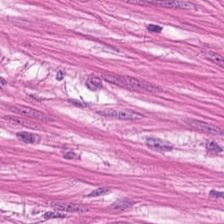Hematoxylin-and-eosin stained section — Tissue class — smooth-muscle tissue.
